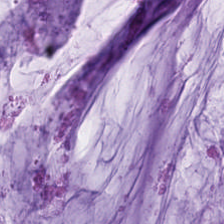Stain: hematoxylin-and-eosin stained section.
Tissue: mucus.
